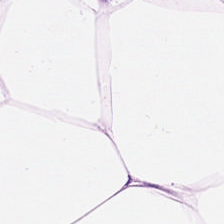Hematoxylin and eosin — Showing adipocytes.
